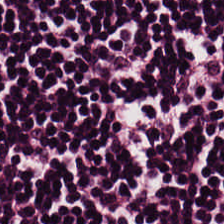Brightfield. Hematoxylin-and-eosin stained section. 0.5 microns per pixel — Predominant tissue = lymphocyte aggregate.
